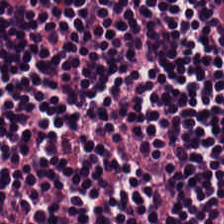Hematoxylin and eosin. This patch shows lymphocytic infiltrate.
